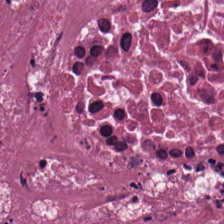FFPE tissue section · H&E stain.
Tissue class: debris.
